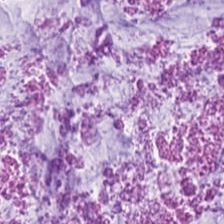H&E-stained section; the field shows mucin.
